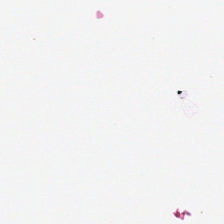Field content = background.
